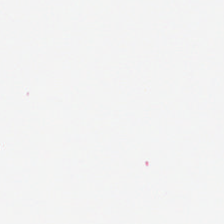20× equivalent magnification; H&E; WSI patch. This patch shows empty background.
